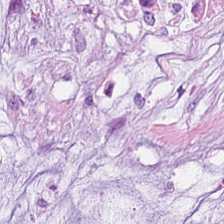Hematoxylin and eosin. Brightfield. Classification: mucus.
